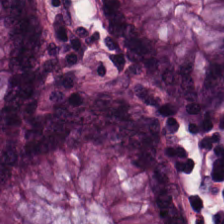{"tissue_type": "normal colonic mucosa"}
